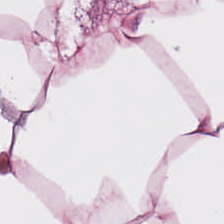Q: Classify this patch.
A: Adipose.
